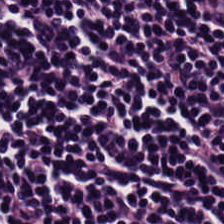This patch shows lymphoid infiltrate.
